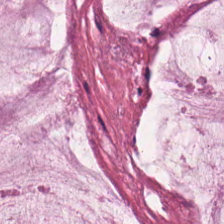Finding — mucus.
